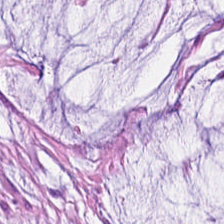224×224 px patch · hematoxylin and eosin · formalin-fixed paraffin-embedded section. Impression — mucus.
